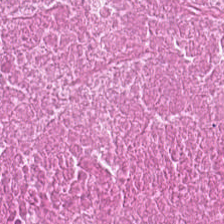H&E; 0.5 µm per pixel; FFPE. Tissue class: necrotic debris.
